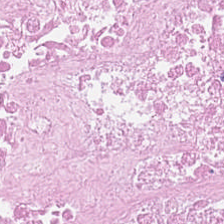FFPE tissue section; hematoxylin and eosin — The tissue here is necrotic debris.
